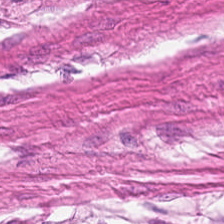Predominant tissue = smooth muscle.
